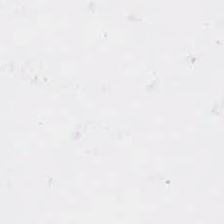224×224 px patch. H&E-stained tissue section. Formalin-fixed paraffin-embedded section.
Field content: background (no tissue).
